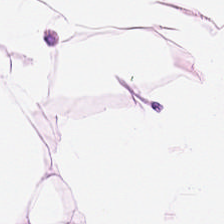H&E-stained tissue section. Brightfield microscopy. Q: What is shown in this field?
A: It is adipose tissue.
